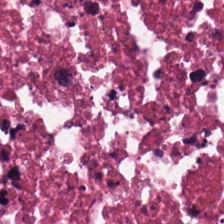Finding → necrotic debris.
